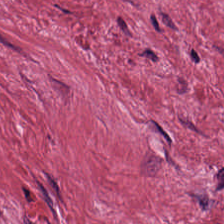H&E-stained tissue section. Showing desmoplastic stroma.
